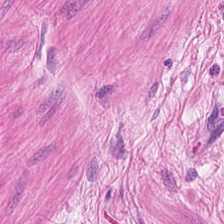Q: Identify the tissue.
A: This is muscularis.
